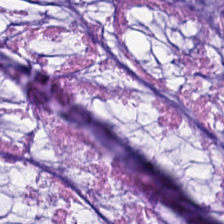H&E stain; FFPE tissue section — {"tissue_type": "extracellular mucin"}
